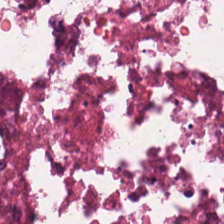H&E. Tissue type — cellular debris.
